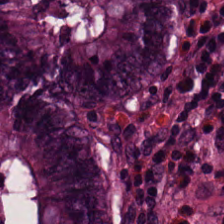Histology → normal colonic mucosa.
